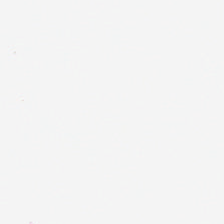Whole-slide-image patch · H&E stain — This field is background (no tissue).
